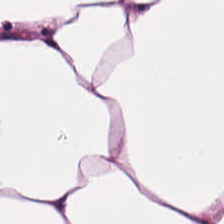FFPE tissue section · hematoxylin and eosin. Finding → adipose.
